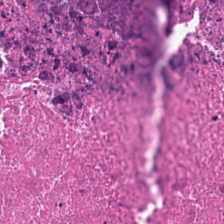0.5 µm per pixel · hematoxylin and eosin. The tissue type is cellular debris.
